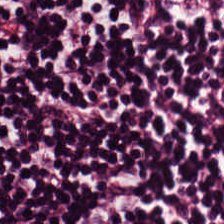H&E stain; formalin-fixed paraffin-embedded section; whole-slide-image patch — Showing lymphocytes.
